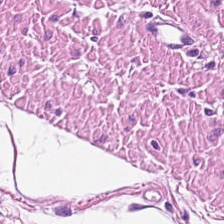H&E stain — Tissue type — smooth-muscle tissue.
